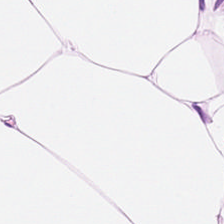Stain: hematoxylin-and-eosin stained section.
Acquisition: brightfield.
Preparation: FFPE tissue section.
Tissue class: adipose.
